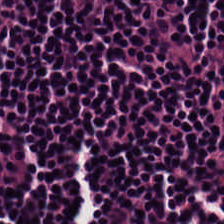H&E. WSI patch.
Q: What does this patch show?
A: This is lymphoid infiltrate.
